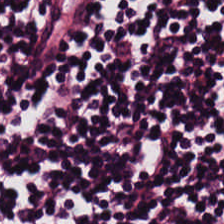Hematoxylin-and-eosin stained section. This field is lymphoid infiltrate.
